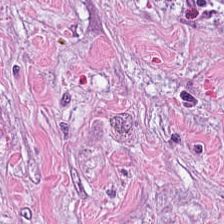FFPE. 224×224 px tile. H&E stain. The tissue here is tumor stroma.
